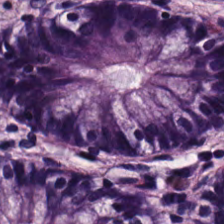H&E-stained tissue section — Q: Classify this patch.
A: This is benign colonic mucosa.
